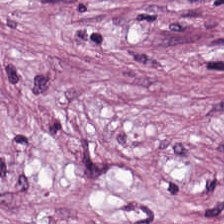This patch shows cancer-associated stroma.
